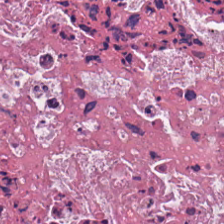Q: What is the predominant tissue type?
A: The field shows debris.
